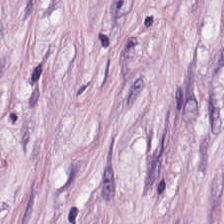H&E-stained tissue section. Q: What tissue is shown?
A: The field shows tumor stroma.
